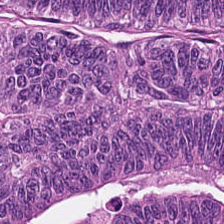H&E stain.
Predominantly adenocarcinoma.
